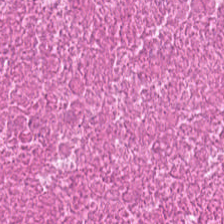0.5 µm per pixel · H&E — The tissue type is necrotic debris.
